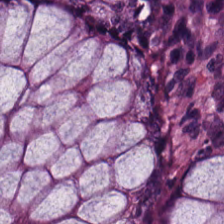H&E stain.
Q: What tissue type is shown here?
A: It is normal colonic mucosa.
